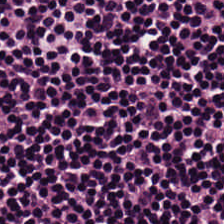Whole-slide-image patch. H&E — The predominant tissue is lymphocytes.
